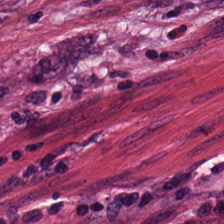Tissue — desmoplastic stroma.
